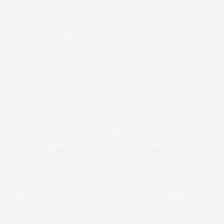Hematoxylin and eosin. {"content": "background"}
